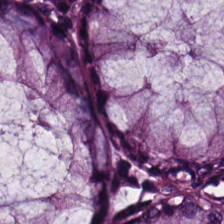Hematoxylin and eosin — The predominant tissue is non-neoplastic colon mucosa.
